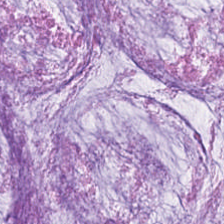Hematoxylin and eosin — Q: What tissue type is shown here?
A: This is extracellular mucin.
